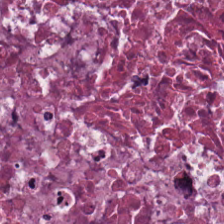H&E-stained tissue section showing necrotic debris.
